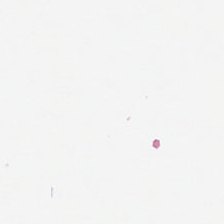0.5 µm per pixel. FFPE. H&E. No tissue.
